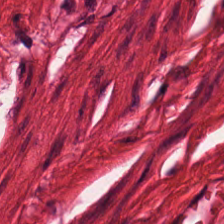The tissue type is smooth-muscle tissue.
